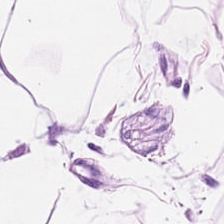224×224 pixel tile; H&E stain. Tissue type = fat tissue.
